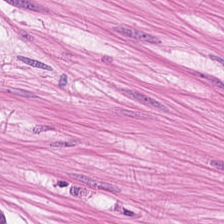{"tissue_type": "smooth-muscle tissue"}
